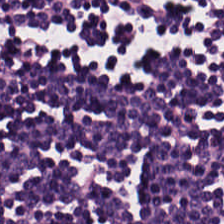Hematoxylin-and-eosin stained section.
Tissue class: lymphocytes.
